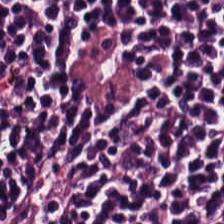Hematoxylin and eosin. The tissue here is lymphoid infiltrate.
